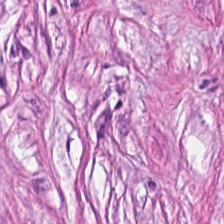H&E stain.
The tissue is tumor-associated stroma.
